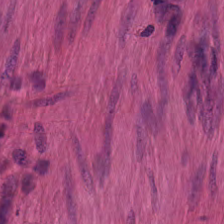0.5 µm per pixel; H&E; whole-slide-image patch. Classification = smooth-muscle tissue.
